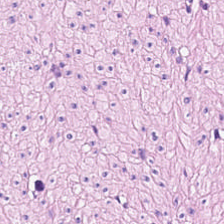FFPE. H&E. Predominantly muscularis.
